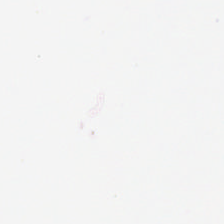This field is background (no tissue).
